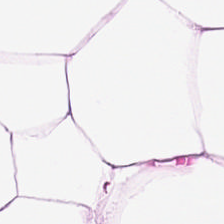Hematoxylin and eosin · 0.5 µm/px — Tissue type — adipocytes.
